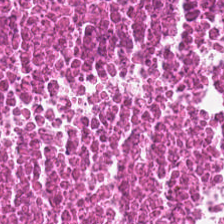Q: Identify the tissue.
A: It is cellular debris.
